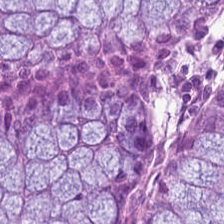H&E stain. {"tissue_type": "benign colonic mucosa"}
